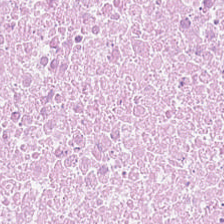Hematoxylin-and-eosin stained section — This patch shows cellular debris.
